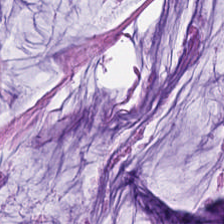H&E-stained tissue section.
Tissue class — mucus.
